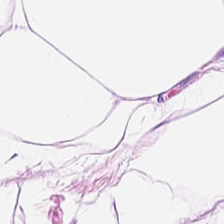H&E-stained tissue section. This patch shows fat tissue.
